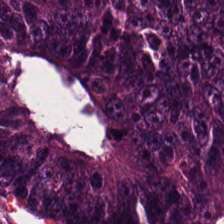H&E stain.
Q: What tissue type is shown here?
A: Colorectal adenocarcinoma epithelium.
